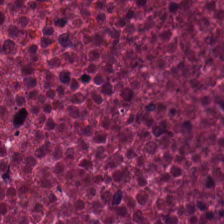Whole-slide-image patch · hematoxylin-and-eosin stained section · 224×224 px patch.
The tissue here is necrotic debris.
